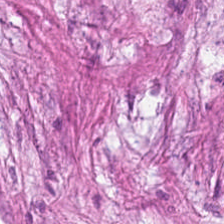Tissue type — tumor-associated stroma.
